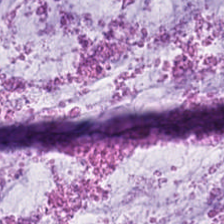Classification: extracellular mucin.
